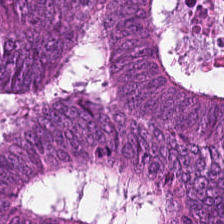Q: What tissue is shown?
A: This is colorectal adenocarcinoma epithelium.
